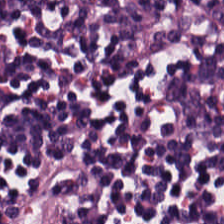H&E-stained tissue section · 0.5 microns per pixel — This field is lymphocytic infiltrate.
